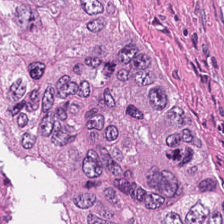Stain: H&E-stained tissue section.
Tissue class: cellular debris.
